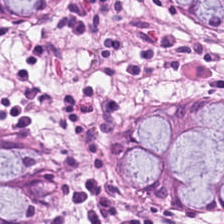224×224 pixel tile. H&E-stained tissue section.
The predominant tissue is normal colon mucosa.
